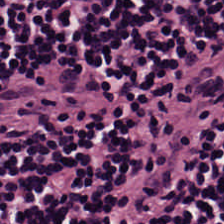Histology → lymphoid infiltrate.
